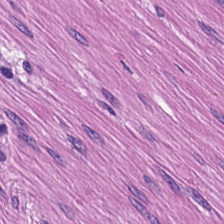Hematoxylin and eosin. This patch shows muscularis.
